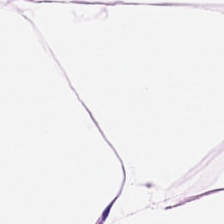WSI patch · H&E.
This patch shows adipose tissue.
